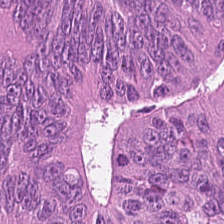Hematoxylin-and-eosin stained section · formalin-fixed paraffin-embedded section.
Predominantly malignant epithelium.
